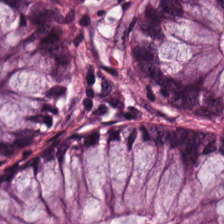Classification — non-neoplastic colon mucosa.
